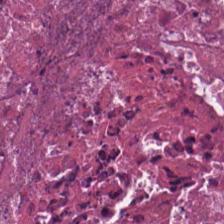Hematoxylin-and-eosin stained section. 224×224 pixel tile. 0.5 µm per pixel.
Q: What is shown in this field?
A: Cellular debris.
